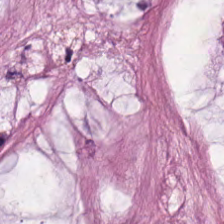This field is mucin.
